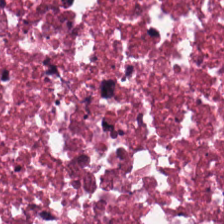H&E stain. Q: What tissue is shown?
A: This is debris.
